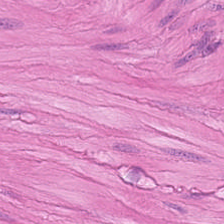H&E-stained tissue section.
Predominant tissue — smooth muscle.
